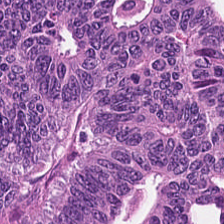224×224 px tile; hematoxylin-and-eosin stained section — Impression → tumor epithelium.
